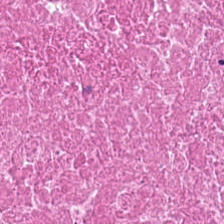H&E stain. Histology — debris.
